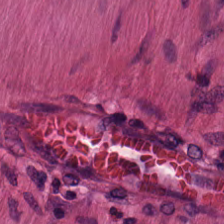0.5 microns per pixel · H&E stain.
Predominantly smooth muscle.
